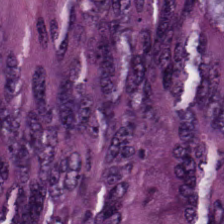This field is colorectal adenocarcinoma.
